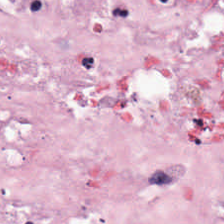Stain: hematoxylin-and-eosin stained section.
Resolution: 0.5 µm/px.
Classification: tumor stroma.
